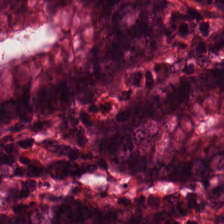H&E-stained tissue section — Q: What does this patch show?
A: It is normal colonic mucosa.
